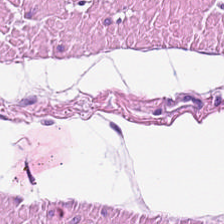224×224 px patch; whole-slide-image patch; H&E-stained tissue section. The tissue class is smooth muscle.
